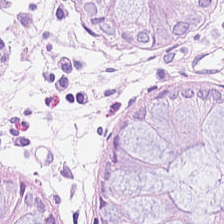H&E stain — Finding → benign colonic mucosa.
